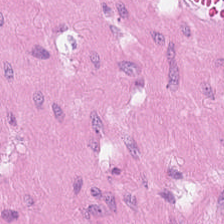Formalin-fixed paraffin-embedded section. Brightfield microscopy. Hematoxylin and eosin. Finding — muscularis.
